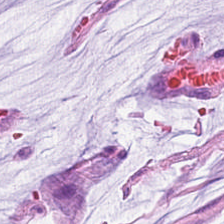H&E; 20× equivalent magnification; WSI patch — Histology — extracellular mucin.
